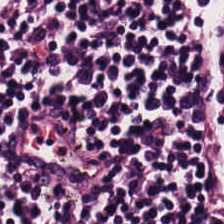H&E; 224×224 px tile.
This field is lymphoid infiltrate.
